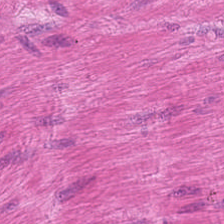Hematoxylin and eosin — This field is smooth-muscle tissue.
